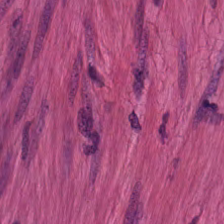Stain: hematoxylin-and-eosin stained section.
Tissue type: smooth muscle.
